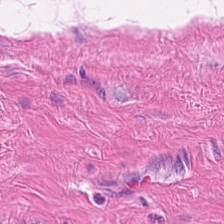Predominantly smooth muscle.
